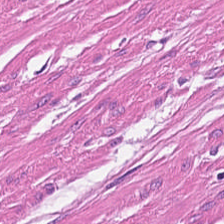0.5 µm/px · H&E. Q: What tissue type is shown here?
A: This is smooth muscle.
